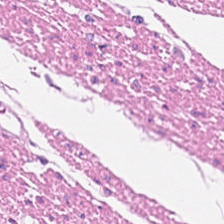H&E-stained tissue section.
Impression → muscularis.
